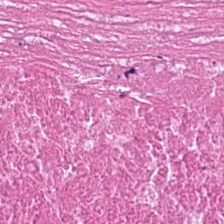H&E-stained tissue section showing necrotic debris.
